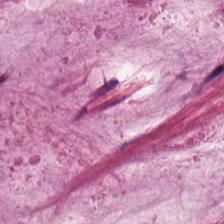Showing extracellular mucin.
